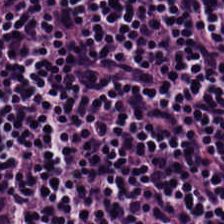Stain: H&E-stained tissue section.
Tile size: 224×224 px tile.
Predominant tissue: lymphocytic infiltrate.
